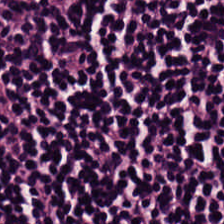H&E stain — Tissue type = lymphocytic infiltrate.
